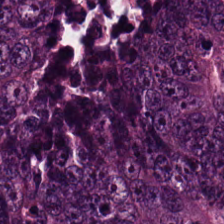{"tissue_type": "colorectal adenocarcinoma epithelium"}
